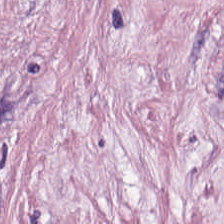Q: What is shown here?
A: The field shows tumor-associated stroma.
